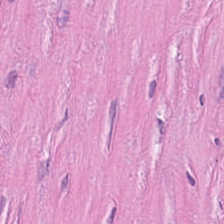H&E — Q: What is the predominant tissue type?
A: It is cancer-associated stroma.
